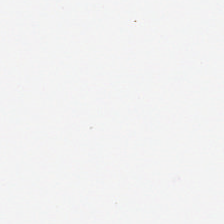Empty field — background (no tissue).
